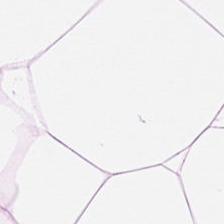Q: What tissue is shown?
A: This is adipose.
